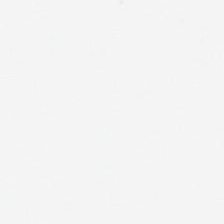H&E-stained tissue section.
Histology — background.
